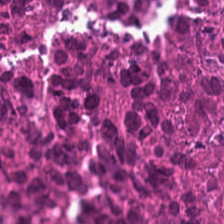Hematoxylin and eosin; brightfield microscopy. The predominant tissue is necrotic debris.
